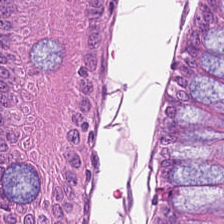20× equivalent magnification. 224×224 pixel tile. Hematoxylin and eosin — Q: What does this patch show?
A: The field shows benign colonic mucosa.
